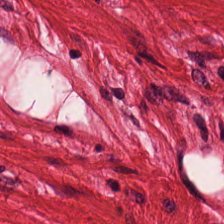Finding → smooth-muscle tissue.
